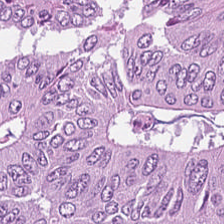224×224 px patch; hematoxylin-and-eosin stained section.
The tissue here is tumor epithelium.
